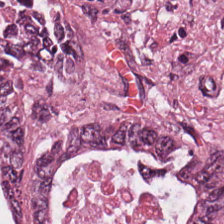Brightfield. H&E-stained tissue section. Malignant epithelium.
